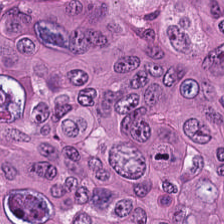Hematoxylin-and-eosin stained section. Tissue class — malignant epithelium.
